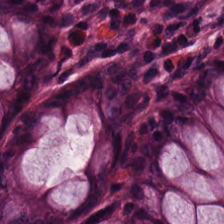Hematoxylin and eosin · 0.5 µm per pixel.
The predominant tissue is normal colon mucosa.
